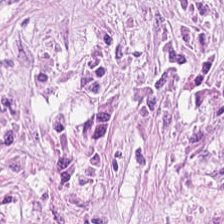H&E-stained tissue section showing tumor stroma.
